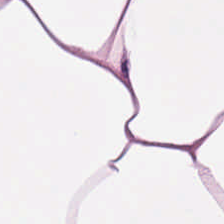H&E stain · 0.5 µm/px · 224×224 pixel tile. The tissue class is adipose tissue.
